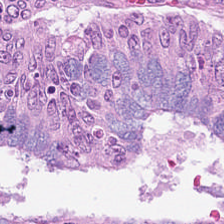The tissue here is colorectal adenocarcinoma.
